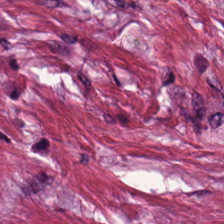H&E-stained tissue section.
The predominant tissue is cancer-associated stroma.
